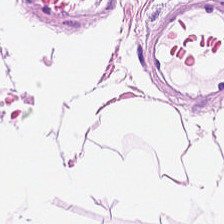Hematoxylin-and-eosin stained section; 20× equivalent magnification — Showing adipose.
